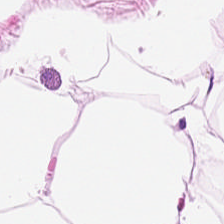Formalin-fixed paraffin-embedded section; hematoxylin and eosin.
Q: What is the predominant tissue type?
A: This is adipose tissue.
